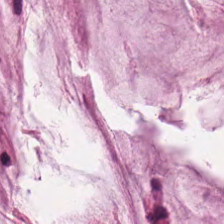Whole-slide-image patch; hematoxylin and eosin.
Finding → extracellular mucin.
